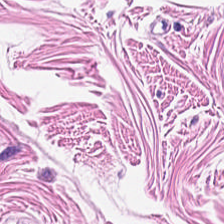20× equivalent magnification; hematoxylin-and-eosin stained section; FFPE — Classification — muscularis.
